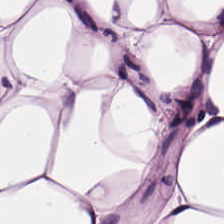Q: What type of tissue is this?
A: This is adipose tissue.
